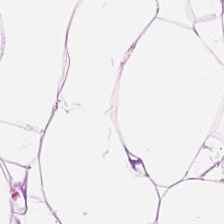H&E-stained tissue section showing adipocytes.
